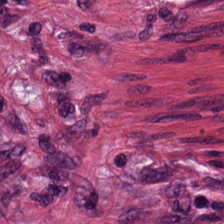Finding → desmoplastic stroma.
